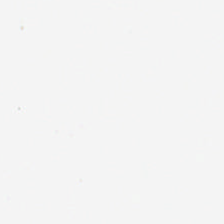Hematoxylin-and-eosin stained section — Q: What does this patch show?
A: This is no tissue.
